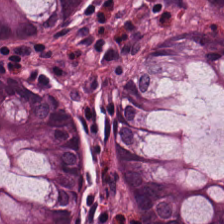H&E stain. FFPE tissue section. The tissue class is benign colonic mucosa.
